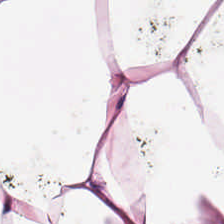H&E stain; 20× equivalent magnification; 224×224 px patch. The tissue is fat tissue.
